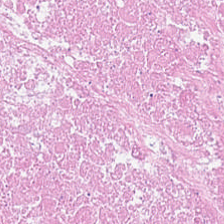0.5 µm per pixel. Hematoxylin and eosin.
Q: What tissue type is shown here?
A: The field shows necrotic debris.
